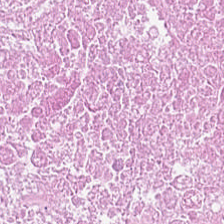Stain: hematoxylin-and-eosin stained section.
Classification: necrotic debris.
